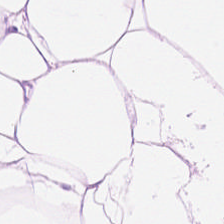The tissue class is adipose tissue.
